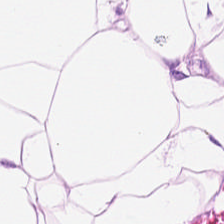Stain: H&E-stained tissue section.
Predominant tissue: adipose tissue.
